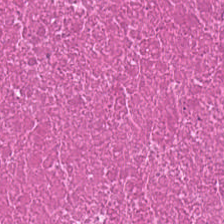H&E stain. Predominantly necrotic debris.
